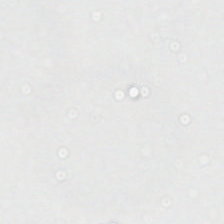FFPE tissue section; 224×224 px patch; H&E.
The content is background (no tissue).
